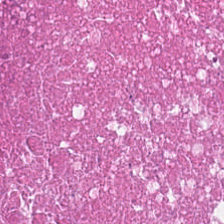Impression — debris.
